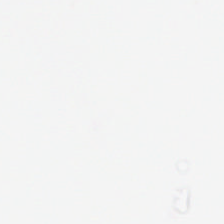H&E — Field content — background (no tissue).
